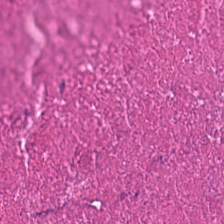Hematoxylin-and-eosin stained section — Q: Identify the tissue.
A: The field shows necrotic debris.
